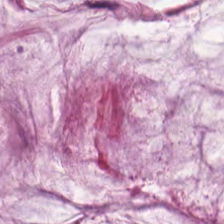Tissue type: mucin.
